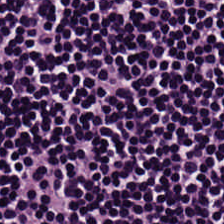The tissue is lymphocyte aggregate.
